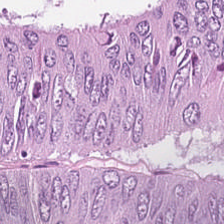Brightfield microscopy; 0.5 µm per pixel; H&E-stained tissue section — The classification is tumor epithelium.
